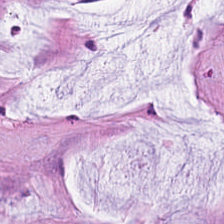Hematoxylin and eosin — This patch shows mucin.
